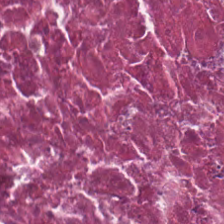224×224 px tile · H&E — The tissue type is debris.
